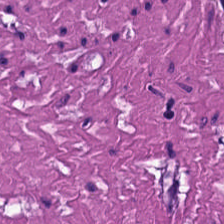0.5 µm/px. H&E-stained tissue section — {"tissue_type": "smooth muscle"}
